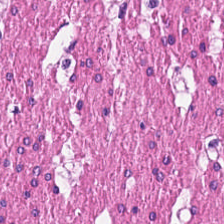Impression → smooth-muscle tissue.
